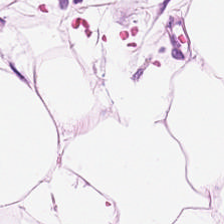H&E — {"tissue_type": "fat tissue"}
